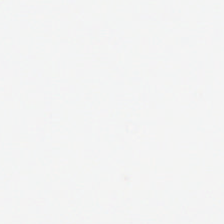H&E-stained tissue section.
Q: Classify this patch.
A: It is empty background.
